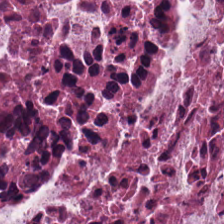Hematoxylin-and-eosin stained section — The predominant tissue is necrotic debris.
